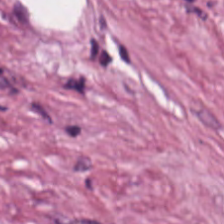H&E. FFPE tissue section — {"tissue_type": "tumor stroma"}
